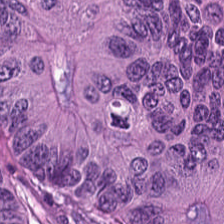Hematoxylin and eosin — Showing malignant epithelium.
